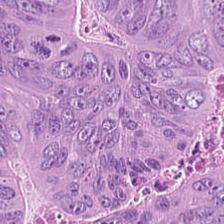0.5 µm/px. Whole-slide-image patch. Hematoxylin and eosin. Showing colorectal adenocarcinoma epithelium.
